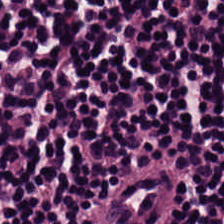Hematoxylin-and-eosin stained section.
The tissue is lymphocytes.
